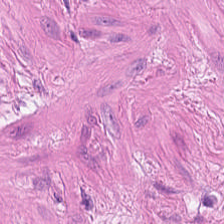H&E-stained tissue section; WSI patch — The tissue type is smooth-muscle tissue.
